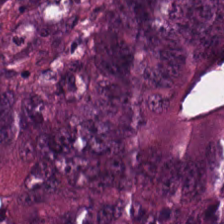Q: What tissue type is shown here?
A: It is malignant epithelium.
